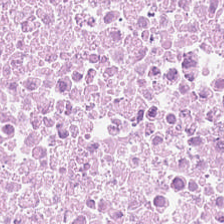H&E stain — Necrotic debris.
